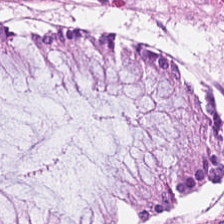H&E stain; whole-slide-image patch — Q: What tissue is shown?
A: Normal colonic mucosa.
